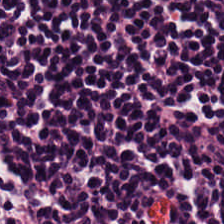Q: What does this patch show?
A: The field shows lymphocyte aggregate.
